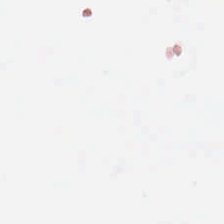Hematoxylin-and-eosin stained section. Impression — empty background.
